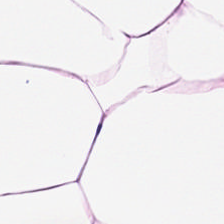Hematoxylin and eosin.
This patch shows fat tissue.
